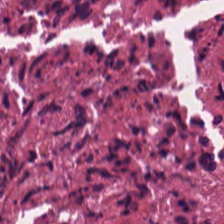Stain: H&E stain.
Preparation: formalin-fixed paraffin-embedded section.
Tile size: 224×224 px tile.
Tissue class: debris.
